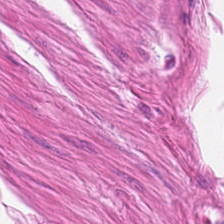H&E.
Tissue class: muscularis.
